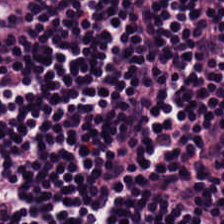224×224 px patch. H&E stain.
Predominantly lymphocyte aggregate.
